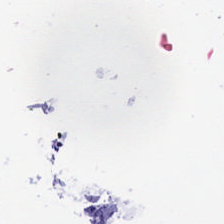This patch shows background.
